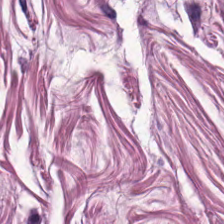H&E. Muscularis.
